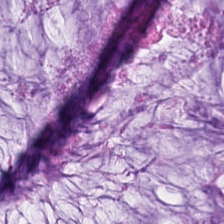Hematoxylin-and-eosin stained section.
Mucus.
